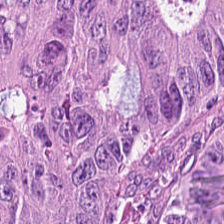The predominant tissue is malignant epithelium.
